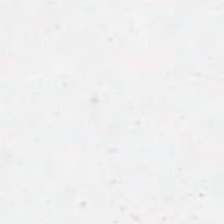Stain: hematoxylin and eosin.
Content: empty background.
